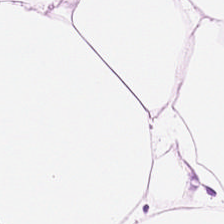Hematoxylin and eosin.
Predominantly adipose.
